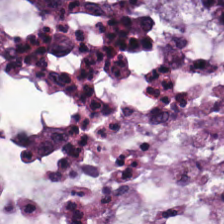224×224 pixel tile · H&E stain.
The predominant tissue is extracellular mucin.
